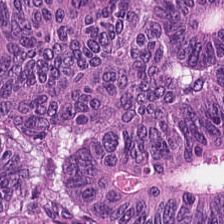Hematoxylin and eosin. Formalin-fixed paraffin-embedded section. 0.5 µm per pixel — Predominantly tumor epithelium.
